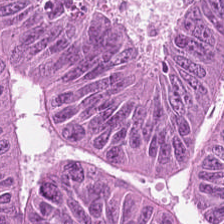Hematoxylin and eosin; brightfield microscopy; 20× equivalent magnification. This field is tumor epithelium.
